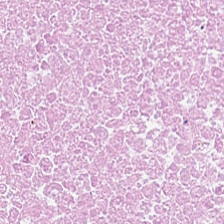Hematoxylin and eosin — Showing cellular debris.
